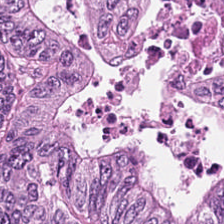H&E.
Q: What tissue is shown?
A: This is colorectal adenocarcinoma.
